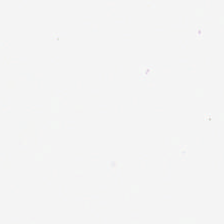H&E-stained tissue section. {"content": "background (no tissue)"}
